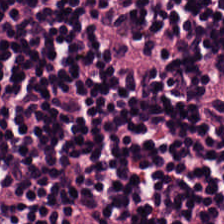H&E stain — The classification is lymphocytes.
